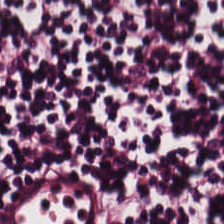Stain: H&E-stained tissue section.
Preparation: formalin-fixed paraffin-embedded section.
Tissue type: lymphoid infiltrate.
